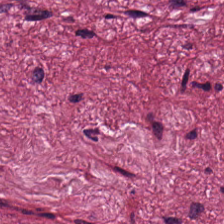Hematoxylin-and-eosin stained section.
Tissue type: cancer-associated stroma.
